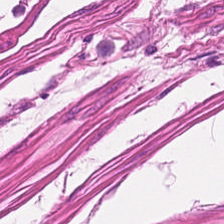Hematoxylin and eosin.
Impression — smooth muscle.
